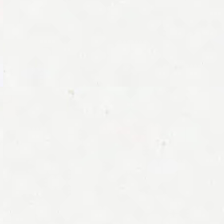H&E stain.
The content is empty background.
